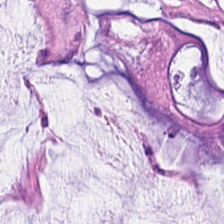H&E stain.
Q: What tissue is shown?
A: The field shows extracellular mucin.
